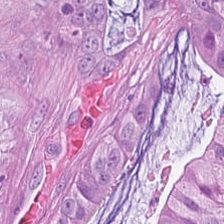Hematoxylin and eosin. 224×224 px tile — Q: What tissue type is shown here?
A: The field shows colorectal adenocarcinoma.
